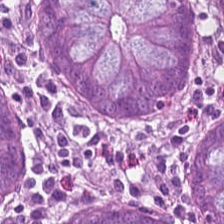Stain: H&E stain.
Tissue: normal colon mucosa.
